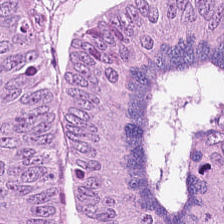Hematoxylin-and-eosin stained section.
Tissue: colorectal adenocarcinoma epithelium.
